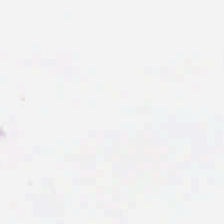H&E stain; formalin-fixed paraffin-embedded section; 224×224 px patch — Empty field — background.
